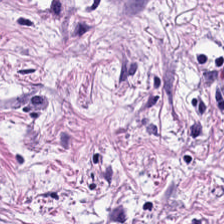0.5 microns per pixel; H&E stain — Q: What type of tissue is this?
A: This is tumor stroma.
